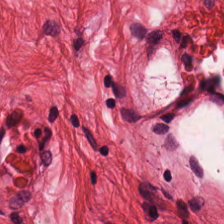H&E stain.
Q: What is the predominant tissue type?
A: The field shows smooth muscle.
